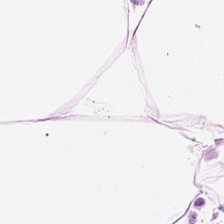20× equivalent magnification; hematoxylin and eosin. This field is fat tissue.
